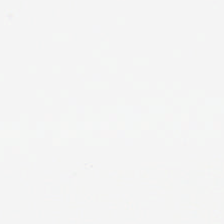H&E stain. Q: What is shown in this field?
A: It is empty background.
